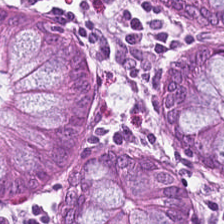H&E; whole-slide-image patch — Showing normal colon mucosa.
